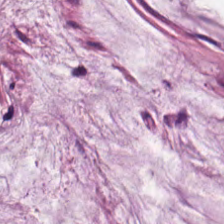Hematoxylin and eosin. This field is mucus.
